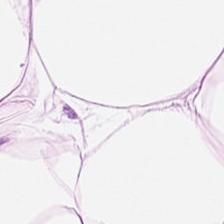Stain: hematoxylin and eosin.
Predominant tissue: fat tissue.
